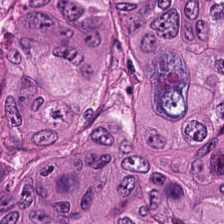H&E-stained tissue section · 20× equivalent magnification · FFPE tissue section.
Classification: adenocarcinoma.
